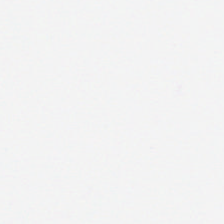WSI patch. Hematoxylin and eosin. 0.5 µm/px. Classification: background (no tissue).
